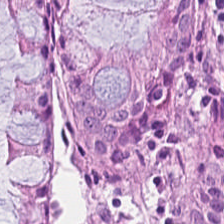FFPE; H&E-stained tissue section.
The tissue is normal colonic mucosa.
